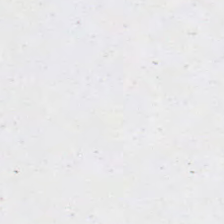H&E. Empty background.
